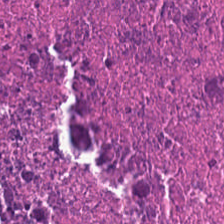Hematoxylin-and-eosin stained section; 0.5 µm per pixel. The tissue here is debris.
